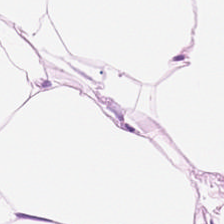FFPE. 224×224 px patch. Hematoxylin-and-eosin stained section — Adipocytes.
